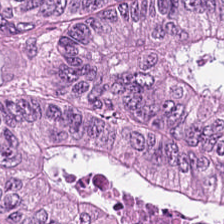Hematoxylin-and-eosin stained section. 224×224 px patch — Histology → colorectal adenocarcinoma.
